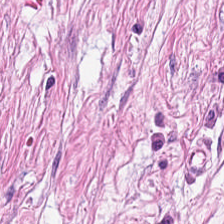This patch shows cancer-associated stroma.
